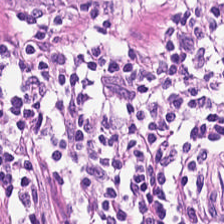Hematoxylin-and-eosin stained section. WSI patch.
Predominant tissue: lymphocytic infiltrate.
